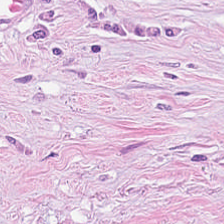224×224 px patch. FFPE tissue section. H&E-stained tissue section — This field is desmoplastic stroma.
